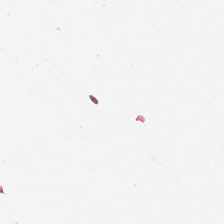H&E. 0.5 µm/px. FFPE tissue section.
Content: no tissue.
